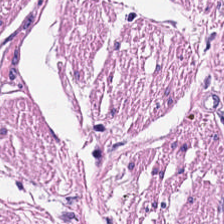H&E stain. Whole-slide-image patch. Predominantly smooth-muscle tissue.
